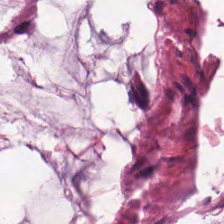Formalin-fixed paraffin-embedded section; H&E stain.
The predominant tissue is mucus.
